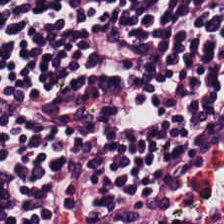20× equivalent magnification · H&E stain. Tissue class = lymphocytes.
